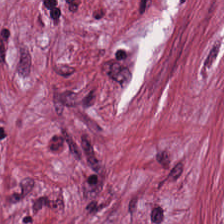H&E — The classification is cancer-associated stroma.
